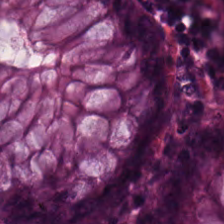Stain: H&E stain.
Resolution: 0.5 µm per pixel.
Preparation: formalin-fixed paraffin-embedded section.
Tissue: normal colonic mucosa.
